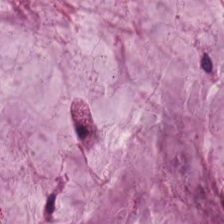0.5 microns per pixel · H&E · FFPE. Predominant tissue: mucin.
